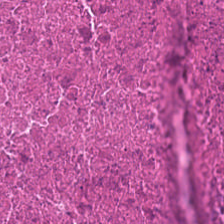224×224 px patch · H&E-stained tissue section. Predominant tissue — debris.
